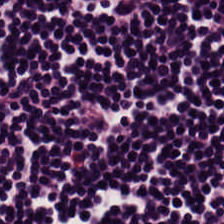Brightfield · H&E-stained tissue section — Q: What is the predominant tissue type?
A: The field shows lymphocytes.
